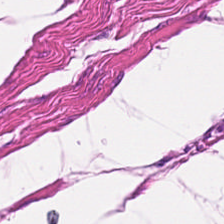0.5 microns per pixel; hematoxylin and eosin.
Classification = muscularis.
